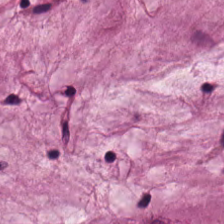H&E stain. Q: What does this patch show?
A: Mucin.
